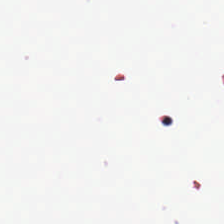H&E stain — Empty background.
